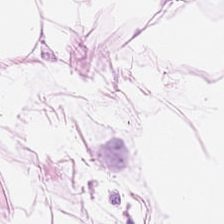The tissue class is adipose tissue.
